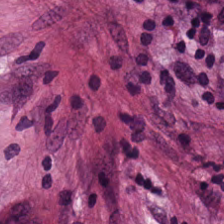H&E stain — Classification = tumor stroma.
